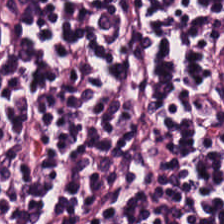Brightfield. H&E.
The tissue is lymphocyte aggregate.
